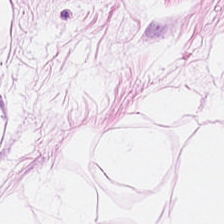H&E-stained tissue section. Fat tissue.
